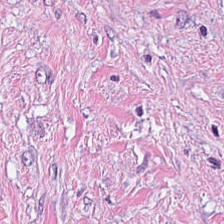Hematoxylin-and-eosin section: cancer-associated stroma.
